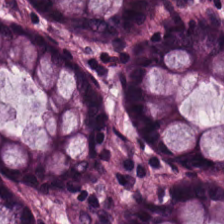0.5 µm per pixel · H&E-stained tissue section. Normal colon mucosa.
